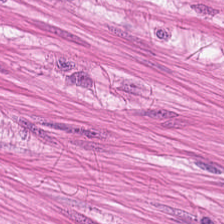This patch shows muscularis.
